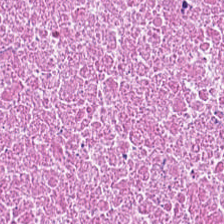H&E-stained tissue section. This field is cellular debris.
